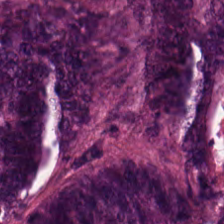Brightfield · H&E stain.
{"tissue_type": "malignant epithelium"}
